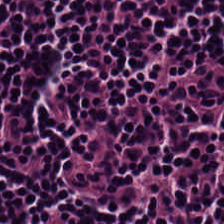H&E.
Q: What is shown in this field?
A: This is lymphocytes.
